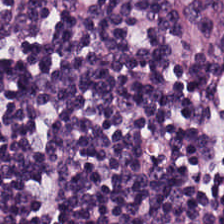H&E — Q: Classify this patch.
A: Lymphocytes.
